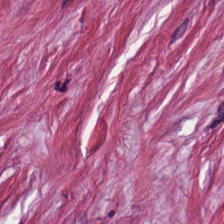0.5 µm/px · H&E stain. Q: What is shown in this field?
A: Desmoplastic stroma.
